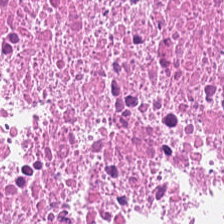H&E stain.
{"tissue_type": "debris"}
